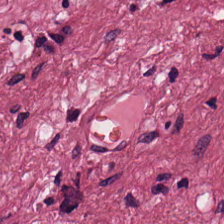H&E · 0.5 µm/px.
This patch shows cancer-associated stroma.
